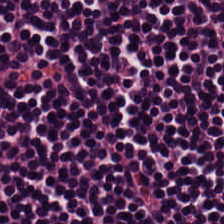H&E stain.
The classification is lymphoid infiltrate.
